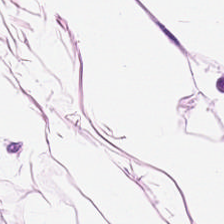H&E-stained tissue section; FFPE. Predominantly adipose.
